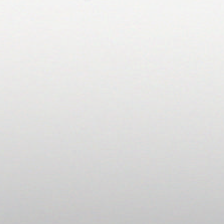H&E. Brightfield microscopy.
Field content = no tissue.
